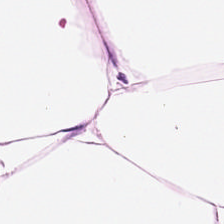Formalin-fixed paraffin-embedded section. Hematoxylin and eosin. 224×224 px tile — Classification: adipose.
